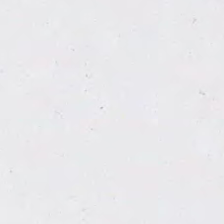Empty field — empty background.
